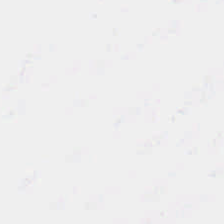Brightfield microscopy. 224×224 px tile. H&E-stained tissue section. This field is background (no tissue).
